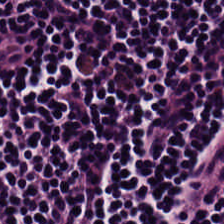Tissue class — lymphoid infiltrate.
